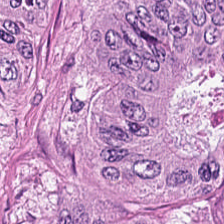Stain: hematoxylin-and-eosin stained section.
Tissue: adenocarcinoma.
